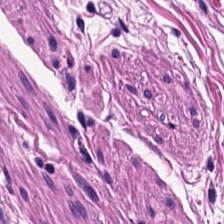224×224 pixel tile; hematoxylin-and-eosin stained section; whole-slide-image patch — Q: What type of tissue is this?
A: The field shows smooth-muscle tissue.
